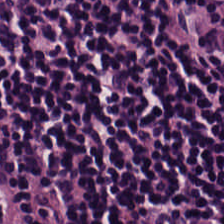Hematoxylin and eosin — Impression → lymphocytic infiltrate.
